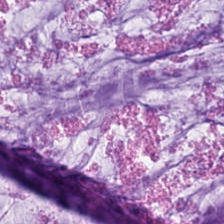Stain: hematoxylin-and-eosin stained section.
Resolution: 20× equivalent magnification.
Preparation: FFPE tissue section.
Classification: mucin.
